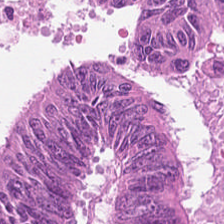H&E-stained tissue section. The tissue here is adenocarcinoma.
